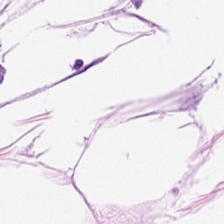224×224 px tile; hematoxylin and eosin — Fat tissue.
